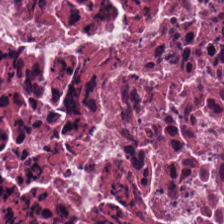H&E stain · whole-slide-image patch. Histology → debris.
